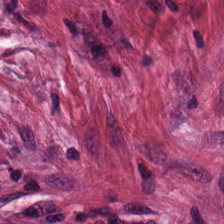Stain: hematoxylin-and-eosin stained section.
Classification: cancer-associated stroma.
